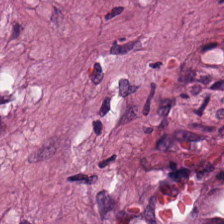Tissue — desmoplastic stroma.
